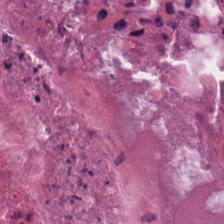Brightfield. H&E — This patch shows necrotic debris.
